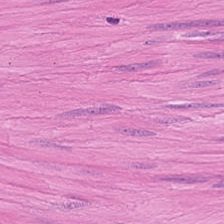The tissue is smooth-muscle tissue.
